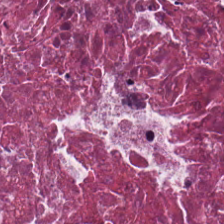0.5 µm/px · brightfield · hematoxylin and eosin.
Q: What does this patch show?
A: Cellular debris.
